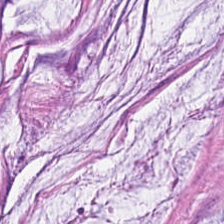Stain: H&E.
Acquisition: whole-slide-image patch.
Tissue type: extracellular mucin.
